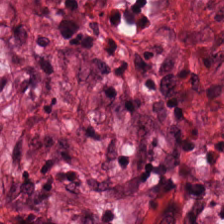Whole-slide-image patch; hematoxylin-and-eosin stained section; FFPE.
Tissue class: tumor stroma.
